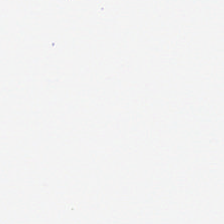H&E · 20× equivalent magnification. Field content = empty background.
